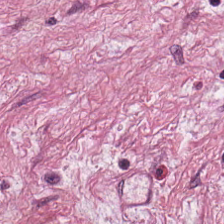Hematoxylin and eosin. Q: Identify the tissue.
A: Tumor stroma.
